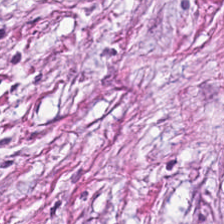Hematoxylin and eosin — Classification — desmoplastic stroma.
